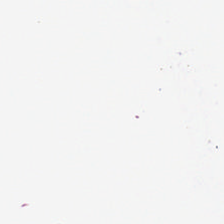Hematoxylin and eosin. 0.5 µm/px. 224×224 px tile — Field content: no tissue.
